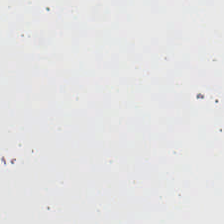Hematoxylin-and-eosin stained section.
Background.
